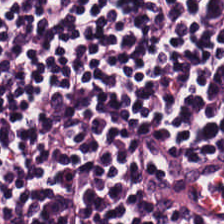H&E. Classification = lymphocyte aggregate.
